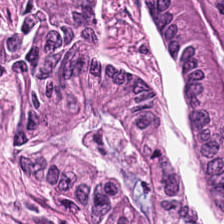H&E stain. FFPE tissue section. 224×224 pixel tile.
Tissue — tumor epithelium.
